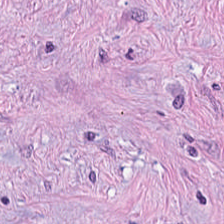Stain: hematoxylin and eosin.
Predominant tissue: tumor stroma.
